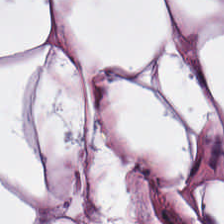Q: What does this patch show?
A: It is fat tissue.
